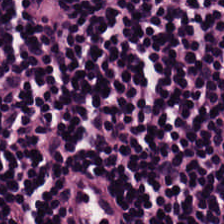H&E-stained tissue section; FFPE tissue section; 20× equivalent magnification — Q: What type of tissue is this?
A: It is lymphocytes.
